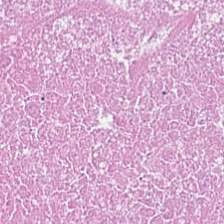Hematoxylin and eosin. Tissue type: cellular debris.
